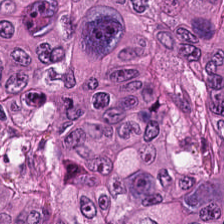FFPE · brightfield · H&E stain. Classification — adenocarcinoma.
